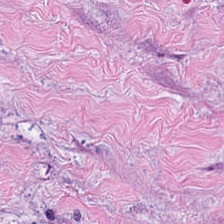Stain: H&E stain.
Resolution: 20× equivalent magnification.
Acquisition: brightfield.
Tissue type: tumor stroma.
